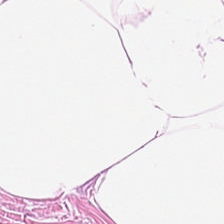H&E-stained tissue section · brightfield microscopy — This field is adipose tissue.
